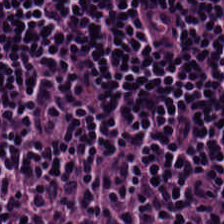H&E stain — Tissue = lymphocyte aggregate.
